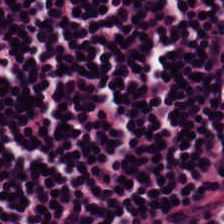FFPE · H&E.
This field is lymphocytes.
